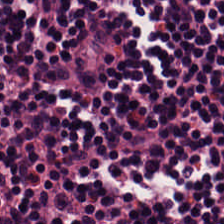Q: What type of tissue is this?
A: Lymphocyte aggregate.
